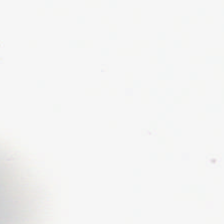Formalin-fixed paraffin-embedded section. H&E-stained tissue section.
This patch shows empty background.
